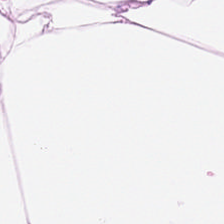Formalin-fixed paraffin-embedded section. Hematoxylin and eosin. 0.5 µm/px. Tissue = adipose tissue.
